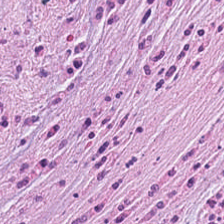Hematoxylin-and-eosin section: tumor-associated stroma.
